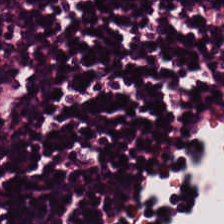H&E.
Histology → lymphocyte aggregate.
